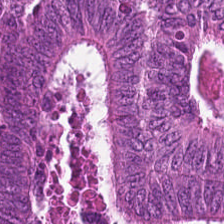Stain: hematoxylin and eosin.
Tissue: adenocarcinoma.
